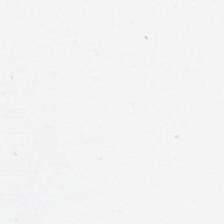Hematoxylin-and-eosin stained section. Histology → no tissue.
